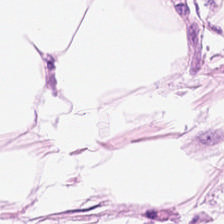Hematoxylin and eosin — This field is adipocytes.
